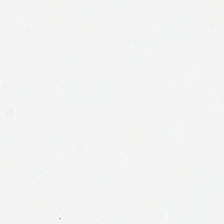Hematoxylin-and-eosin stained section · FFPE. This patch shows empty background.
